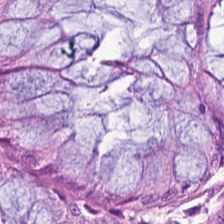Stain: hematoxylin-and-eosin stained section.
Resolution: 0.5 µm/px.
Preparation: formalin-fixed paraffin-embedded section.
Predominant tissue: non-neoplastic colon mucosa.
